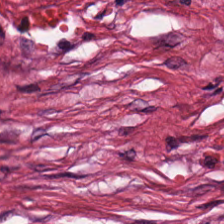H&E. Cancer-associated stroma.
